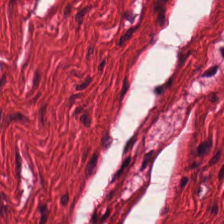H&E — Showing smooth-muscle tissue.
